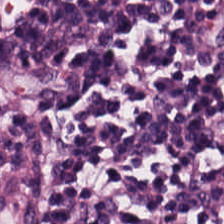Hematoxylin-and-eosin stained section. This field is lymphocyte aggregate.
